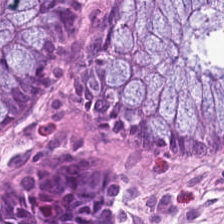Hematoxylin and eosin; 224×224 px patch.
The predominant tissue is non-neoplastic colon mucosa.
